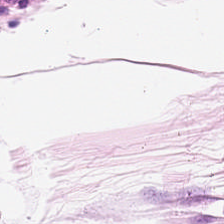224×224 pixel tile. H&E-stained tissue section. Q: What type of tissue is this?
A: This is adipose tissue.
